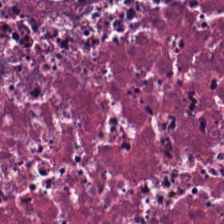Hematoxylin and eosin. The tissue type is necrotic debris.
